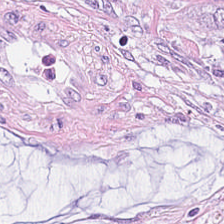224×224 px patch · H&E-stained tissue section. Histology — mucin.
